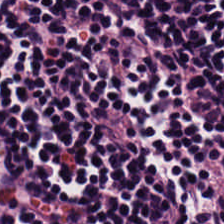This field is lymphoid infiltrate.
